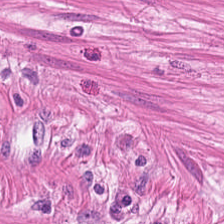H&E stain — Impression → muscularis.
